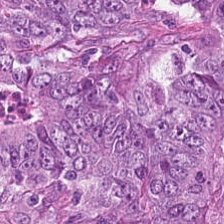Tissue class — colorectal adenocarcinoma.
